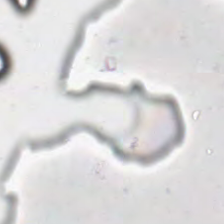The content is empty background.
